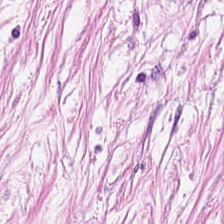H&E stain; brightfield microscopy; FFPE. Finding → desmoplastic stroma.
